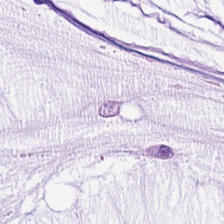Whole-slide-image patch; 0.5 µm per pixel; H&E.
Impression → mucus.
